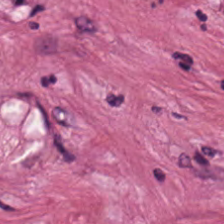H&E. The predominant tissue is cancer-associated stroma.
